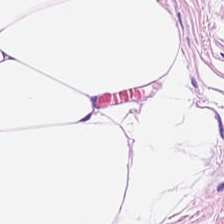H&E-stained tissue section.
The predominant tissue is adipose.
